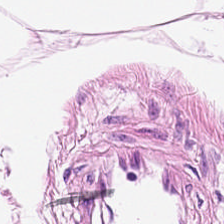Hematoxylin-and-eosin stained section.
Showing adipose.
